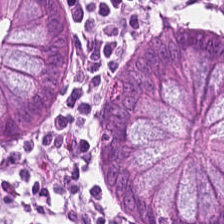H&E stain.
This patch shows normal colon mucosa.
